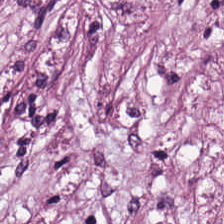Histology → desmoplastic stroma.
